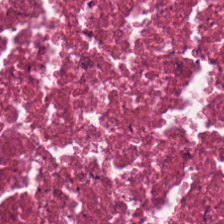H&E stain.
Tissue class = necrotic debris.
